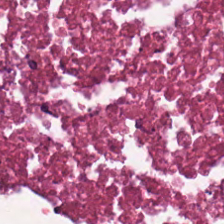H&E-stained tissue section — This field is necrotic debris.
